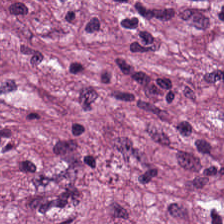Q: What is the predominant tissue type?
A: The field shows desmoplastic stroma.
